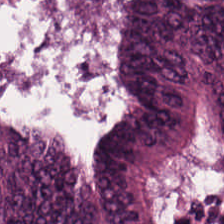H&E. Tissue type = colorectal adenocarcinoma.
